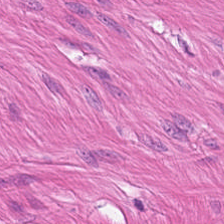This patch shows smooth-muscle tissue.
